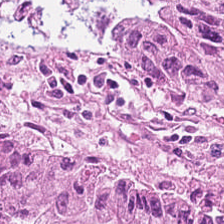H&E stain. Q: What is the predominant tissue type?
A: The field shows colorectal adenocarcinoma epithelium.
